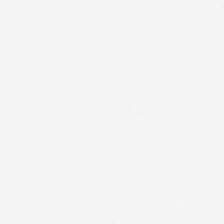Brightfield microscopy · H&E-stained tissue section · 224×224 pixel tile. Classification = no tissue.
